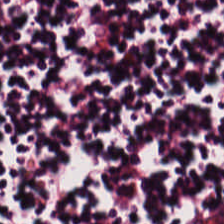This patch shows lymphoid infiltrate.
